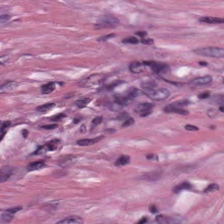0.5 µm per pixel. H&E-stained tissue section — Predominantly tumor stroma.
